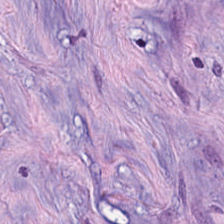H&E stain. 224×224 px tile. The tissue here is desmoplastic stroma.
